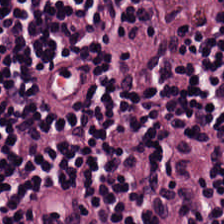Hematoxylin and eosin.
Showing lymphocytic infiltrate.
